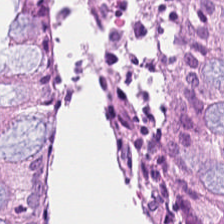Tissue class: normal colon mucosa.
